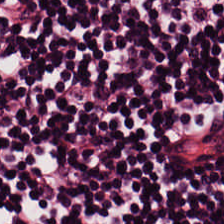H&E. Brightfield microscopy. 0.5 microns per pixel.
Tissue type — lymphocytes.
